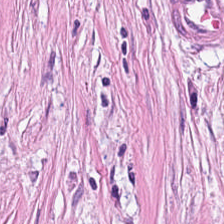Tissue class: tumor-associated stroma.
